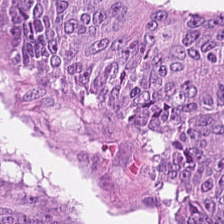H&E — The tissue class is colorectal adenocarcinoma epithelium.
